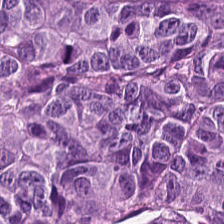H&E stain.
The tissue class is colorectal adenocarcinoma epithelium.
